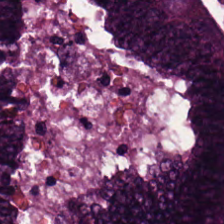The classification is tumor epithelium.
